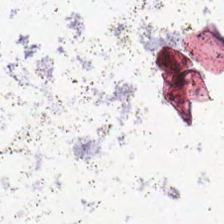Q: What is shown in this field?
A: The field shows background (no tissue).
